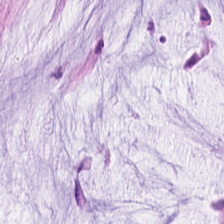224×224 pixel tile · H&E-stained tissue section. Impression — mucin.
